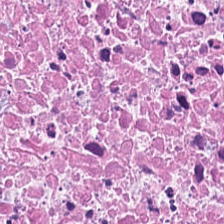Histology → necrotic debris.
